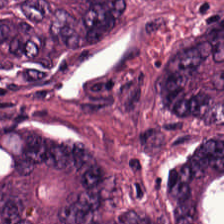Q: What does this patch show?
A: It is tumor epithelium.
